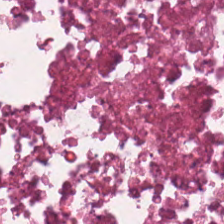H&E-stained tissue section. This patch shows cellular debris.
